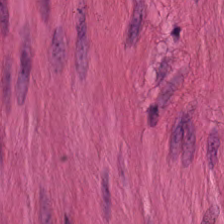Hematoxylin and eosin — Q: Classify this patch.
A: It is smooth muscle.
